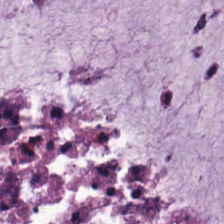Hematoxylin-and-eosin stained section — Tissue class = extracellular mucin.
